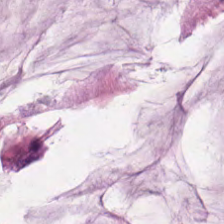Hematoxylin-and-eosin stained section.
Predominant tissue: mucus.
